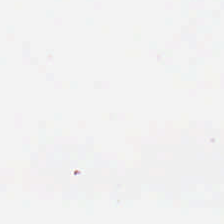The content is background.
